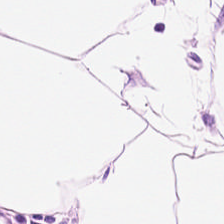Stain: hematoxylin and eosin.
Acquisition: whole-slide-image patch.
Tile size: 224×224 pixel tile.
Classification: adipose tissue.
